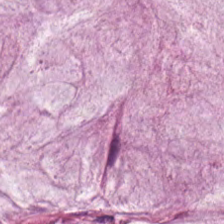Stain: H&E-stained tissue section.
Tissue: extracellular mucin.
